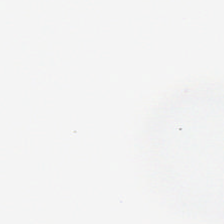H&E — Background — no tissue in this field.
